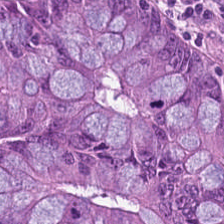Stain: H&E-stained tissue section.
Tissue: colorectal adenocarcinoma epithelium.
